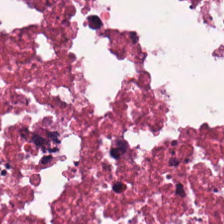Hematoxylin and eosin — Predominantly cellular debris.
